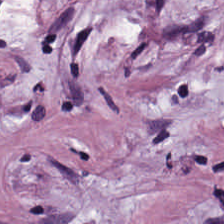FFPE; H&E; whole-slide-image patch — {"tissue_type": "desmoplastic stroma"}
